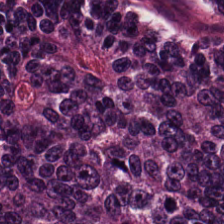Hematoxylin and eosin; 0.5 microns per pixel; 224×224 px tile.
Impression → colorectal adenocarcinoma epithelium.
